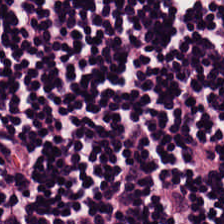H&E-stained tissue section — Classification = lymphocyte aggregate.
